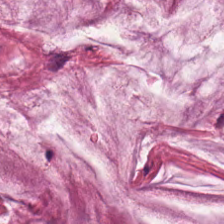Hematoxylin and eosin.
Predominant tissue — mucus.
